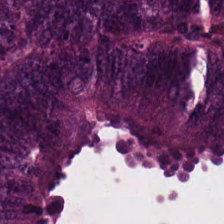H&E-stained tissue section. Showing colorectal adenocarcinoma.
